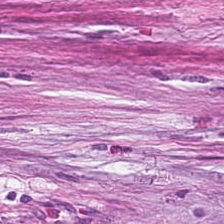H&E — desmoplastic stroma.
